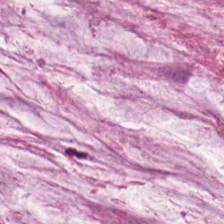Formalin-fixed paraffin-embedded section. Brightfield microscopy. Hematoxylin-and-eosin stained section.
Q: What tissue is shown?
A: It is mucus.
